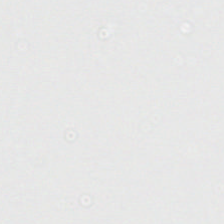Hematoxylin and eosin. No tissue present; background only.
